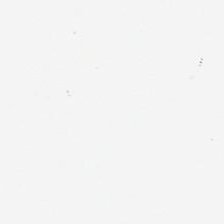H&E-stained tissue section. 224×224 px tile. FFPE tissue section.
Field content = empty background.
